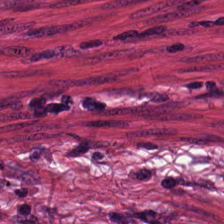H&E stain · formalin-fixed paraffin-embedded section — Impression — cancer-associated stroma.
